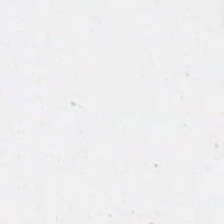H&E.
Classification = background (no tissue).
